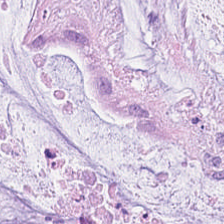Q: What does this patch show?
A: It is mucin.
